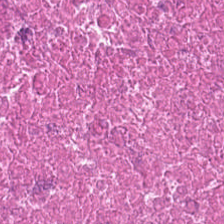Whole-slide-image patch · hematoxylin-and-eosin stained section — Predominant tissue = debris.
